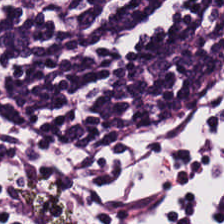H&E-stained tissue section — The tissue here is lymphocytic infiltrate.
